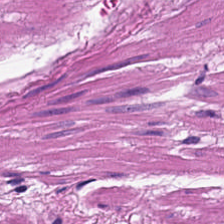Hematoxylin-and-eosin stained section — Showing smooth-muscle tissue.
